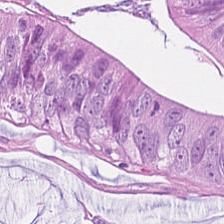The predominant tissue is adenocarcinoma.
